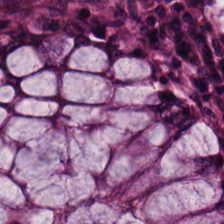Stain: H&E-stained tissue section.
Tissue type: non-neoplastic colon mucosa.
